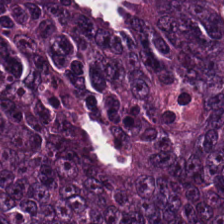224×224 pixel tile; H&E stain. Tissue class — colorectal adenocarcinoma.
